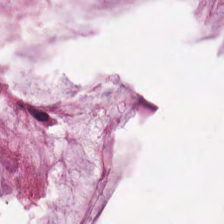The tissue class is mucin.
